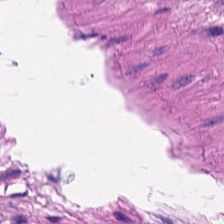H&E patch showing smooth muscle.
